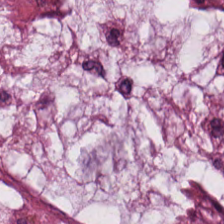H&E stain; 0.5 µm per pixel — Classification: mucus.
